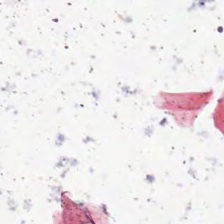H&E stain — Background — no tissue in this field.
